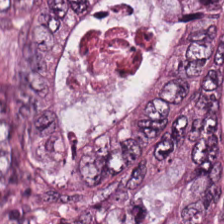H&E stain — Impression → adenocarcinoma.
